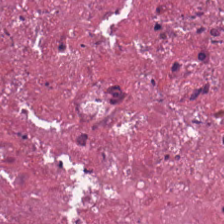Brightfield microscopy; 0.5 µm per pixel; hematoxylin and eosin.
The classification is debris.
